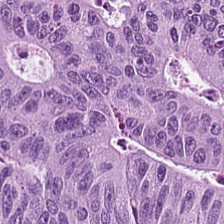Hematoxylin-and-eosin stained section. Predominant tissue = colorectal adenocarcinoma epithelium.
